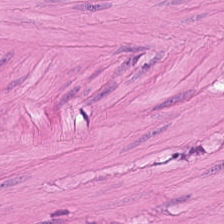H&E-stained tissue section; FFPE tissue section; 0.5 µm/px.
Tissue type = smooth muscle.
